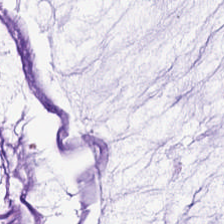FFPE. Hematoxylin-and-eosin stained section.
Predominant tissue: mucus.
